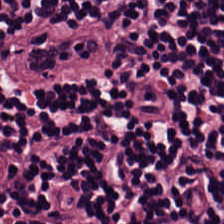H&E. {"tissue_type": "lymphocytes"}
